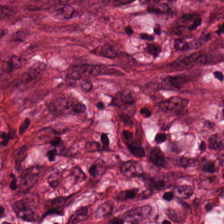Hematoxylin-and-eosin stained section — Predominant tissue — tumor-associated stroma.
